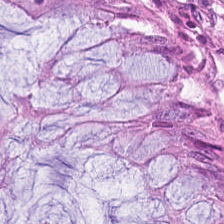H&E.
Q: What is shown here?
A: It is non-neoplastic colon mucosa.
